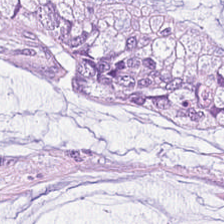Hematoxylin and eosin — Predominantly mucin.
